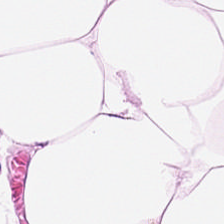H&E.
Tissue type = fat tissue.
